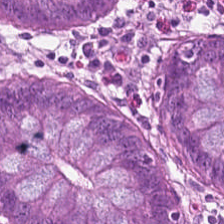Normal colonic mucosa.
